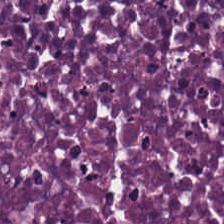The tissue here is debris.
